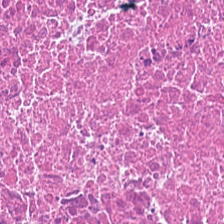FFPE tissue section. Hematoxylin-and-eosin stained section.
Impression → cellular debris.
